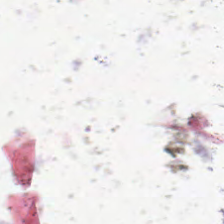The classification is background.
